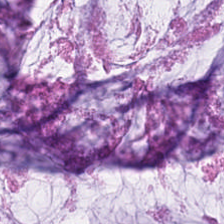Q: Classify this patch.
A: Mucin.
